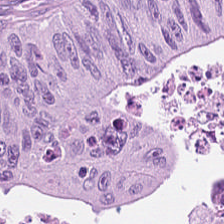H&E; whole-slide-image patch; 224×224 px tile. The predominant tissue is colorectal adenocarcinoma epithelium.
